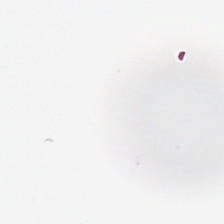Impression → empty background.
